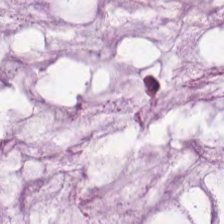Hematoxylin-and-eosin stained section — The predominant tissue is extracellular mucin.
